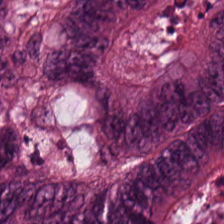Hematoxylin-and-eosin stained section.
Impression — mucin.
